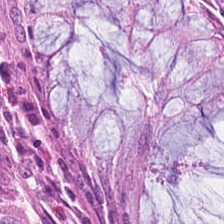224×224 px tile · hematoxylin and eosin.
{"tissue_type": "non-neoplastic colon mucosa"}
